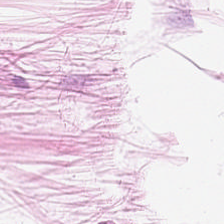H&E-stained tissue section — Adipose tissue.
